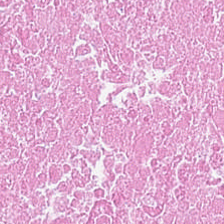FFPE tissue section · hematoxylin-and-eosin stained section. This field is necrotic debris.
